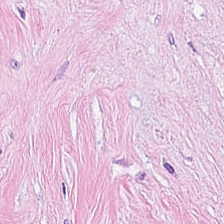WSI patch; H&E stain; FFPE tissue section — Q: Classify this patch.
A: This is tumor-associated stroma.
